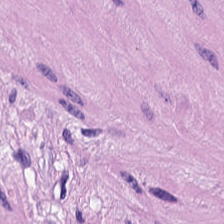Hematoxylin-and-eosin stained section — Classification = smooth muscle.
